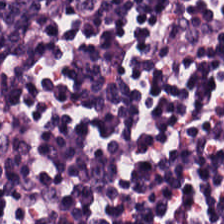FFPE. H&E.
Lymphocyte aggregate.
